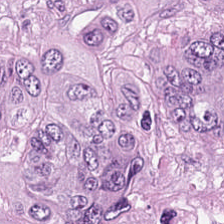Whole-slide-image patch. H&E-stained tissue section. 0.5 µm/px. Q: What does this patch show?
A: It is colorectal adenocarcinoma.
